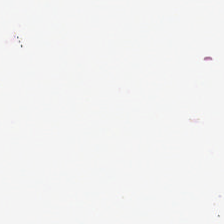Brightfield microscopy. H&E. Q: Classify this patch.
A: Background (no tissue).
